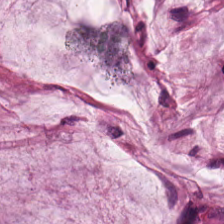Hematoxylin-and-eosin section: mucin.
